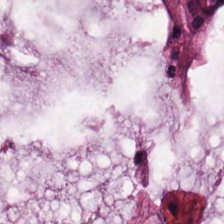Tissue class: extracellular mucin.
